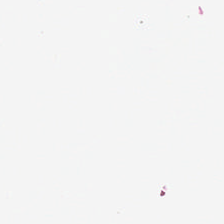FFPE tissue section. H&E stain. 224×224 px patch — The content is background (no tissue).
